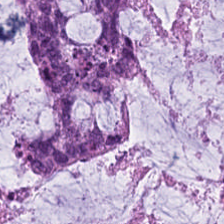Hematoxylin-and-eosin stained section. 0.5 microns per pixel. 224×224 px tile — The predominant tissue is mucin.
